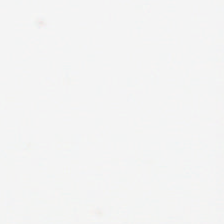{"content": "no tissue"}
